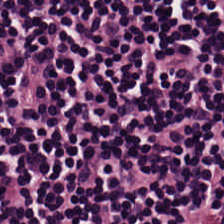Predominant tissue = lymphocytes.
